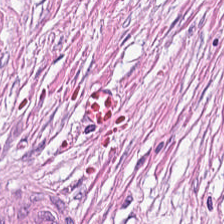WSI patch · H&E stain.
The predominant tissue is tumor stroma.
